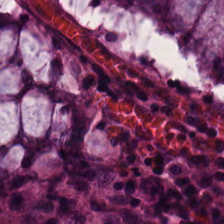H&E stain; FFPE tissue section; brightfield. The tissue here is normal colon mucosa.
